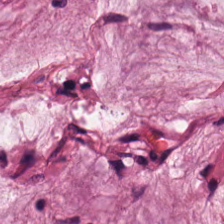Hematoxylin and eosin. Brightfield — Q: What type of tissue is this?
A: The field shows mucus.
